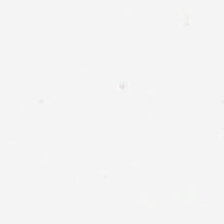0.5 µm/px · H&E.
Histology — no tissue.
